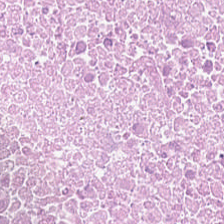H&E-stained tissue section.
{"tissue_type": "cellular debris"}
